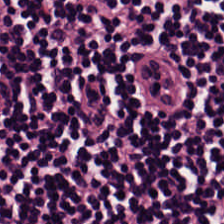H&E-stained tissue section. 20× equivalent magnification. Tissue type = lymphocytes.
